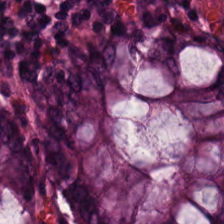Stain: H&E-stained tissue section.
Tile size: 224×224 px patch.
Tissue: benign colonic mucosa.
